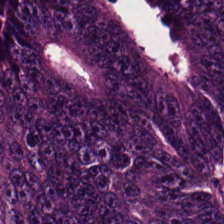H&E patch showing colorectal adenocarcinoma.
